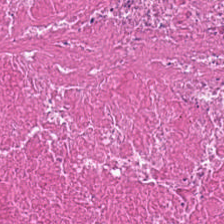H&E-stained tissue section — Q: What is the predominant tissue type?
A: The field shows cellular debris.
